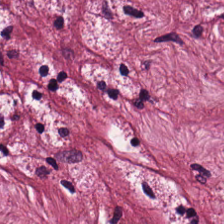H&E stain.
Predominant tissue: desmoplastic stroma.
